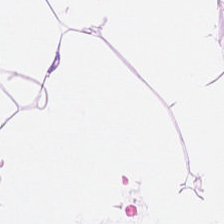H&E-stained tissue section. Tissue: adipose.
